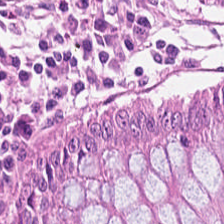Predominant tissue = non-neoplastic colon mucosa.
